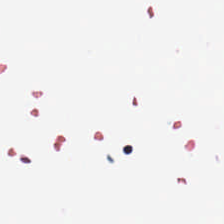224×224 px tile · hematoxylin and eosin — Content — empty background.
